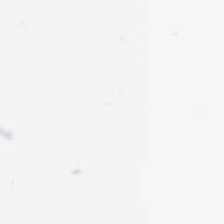Hematoxylin-and-eosin stained section. 224×224 pixel tile — Q: Classify this patch.
A: Background (no tissue).
